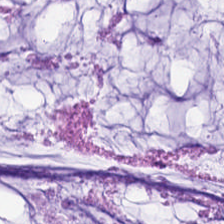Q: What is shown in this field?
A: The field shows mucus.
